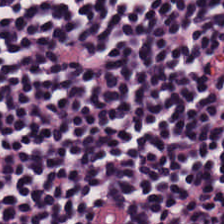The tissue here is lymphocytic infiltrate.
